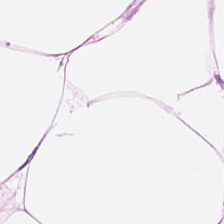Hematoxylin-and-eosin stained section — Q: What is shown in this field?
A: The field shows adipose.
